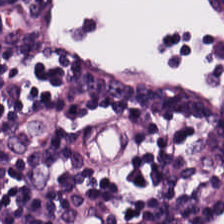Q: What tissue is shown?
A: The field shows lymphoid infiltrate.
